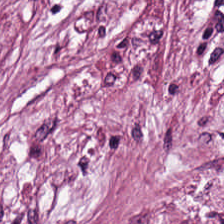Hematoxylin and eosin — Histology → tumor stroma.
